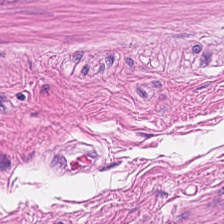Finding — smooth muscle.
